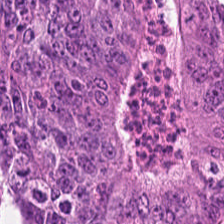Stain: hematoxylin and eosin.
Acquisition: WSI patch.
Preparation: formalin-fixed paraffin-embedded section.
Tissue class: adenocarcinoma.
